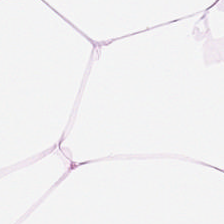H&E-stained tissue section.
Finding → adipose.
